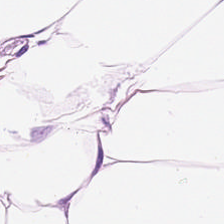Hematoxylin-and-eosin section: fat tissue.
